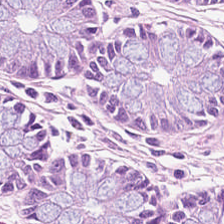H&E-stained tissue section. The predominant tissue is normal colonic mucosa.
